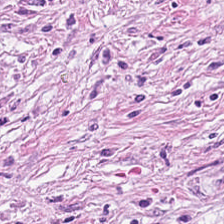Hematoxylin and eosin. This field is cancer-associated stroma.
